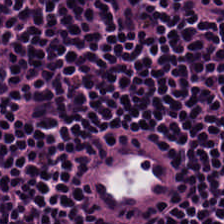Hematoxylin-and-eosin stained section.
Tissue class = lymphocytes.
